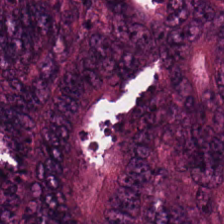Hematoxylin and eosin · formalin-fixed paraffin-embedded section — This patch shows colorectal adenocarcinoma epithelium.
